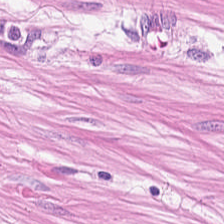Hematoxylin-and-eosin stained section — {"tissue_type": "muscularis"}
